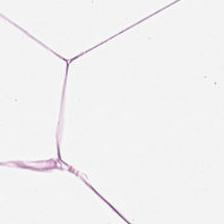224×224 px patch; H&E-stained tissue section.
Q: What tissue type is shown here?
A: It is adipose tissue.
